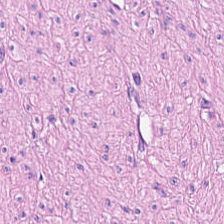Showing smooth muscle.
